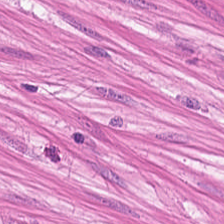Hematoxylin-and-eosin stained section; FFPE tissue section. This field is smooth-muscle tissue.
